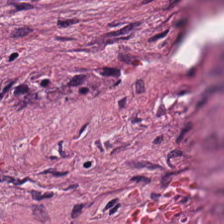Stain: hematoxylin and eosin.
Preparation: FFPE.
Classification: desmoplastic stroma.
